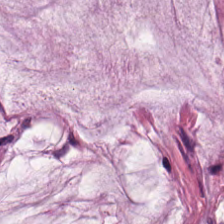H&E-stained tissue section; 224×224 px tile — This field is mucin.
